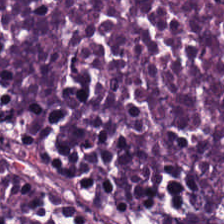The tissue class is necrotic debris.
